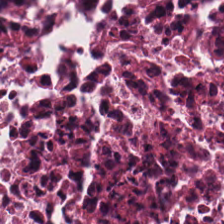Hematoxylin-and-eosin stained section. Finding → debris.
